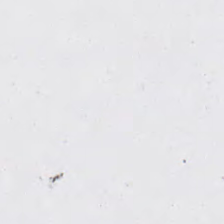Hematoxylin and eosin — Classification: background (no tissue).
